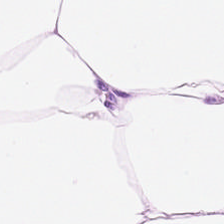H&E. The tissue here is adipocytes.
